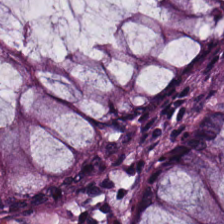Finding → non-neoplastic colon mucosa.
